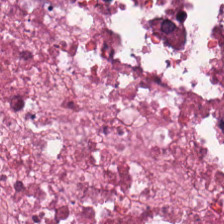Hematoxylin and eosin. {"tissue_type": "cellular debris"}
